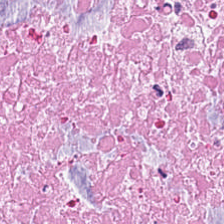H&E stain; 224×224 px tile. {"tissue_type": "cellular debris"}
